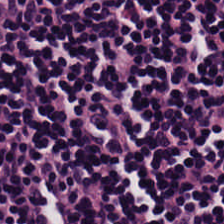Classification = lymphoid infiltrate.
